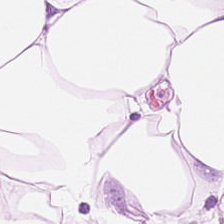Impression → adipose tissue.
